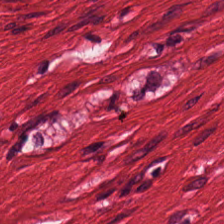Hematoxylin-and-eosin section: smooth-muscle tissue.
